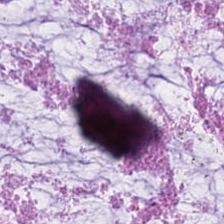H&E-stained tissue section showing mucin.
